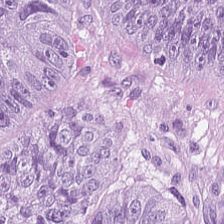Hematoxylin-and-eosin stained section; 224×224 px patch — Finding — colorectal adenocarcinoma epithelium.
